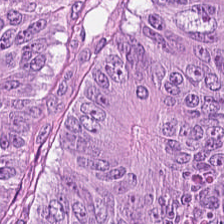H&E.
Impression — colorectal adenocarcinoma.
